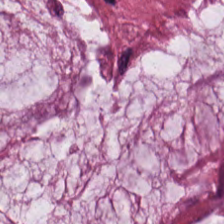WSI patch. Hematoxylin-and-eosin stained section — Tissue class = mucus.
